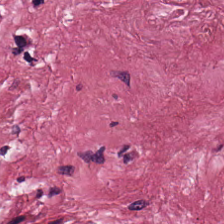H&E stain — This field is tumor-associated stroma.
